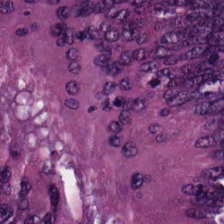H&E-stained tissue section; FFPE. Predominantly adenocarcinoma.
